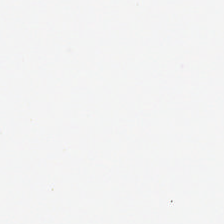H&E stain. Field content — empty background.
